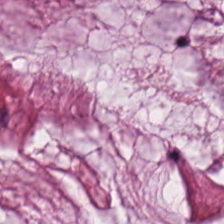Brightfield microscopy. Formalin-fixed paraffin-embedded section. H&E stain.
Tissue class — mucus.
